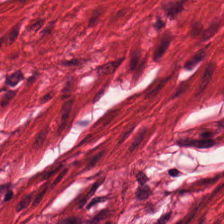Stain: H&E-stained tissue section.
Preparation: FFPE.
Tile size: 224×224 pixel tile.
Classification: smooth-muscle tissue.
